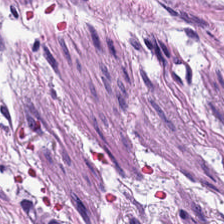H&E-stained tissue section. Q: What is shown in this field?
A: The field shows tumor stroma.
